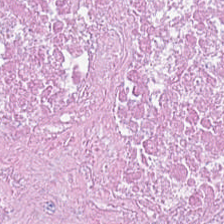Tissue class = necrotic debris.
